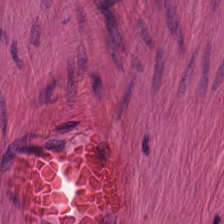Hematoxylin and eosin. Classification = smooth-muscle tissue.
